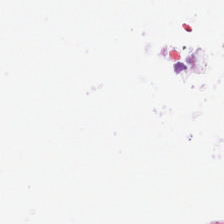This field is background (no tissue).
